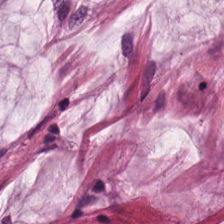H&E patch showing mucin.
